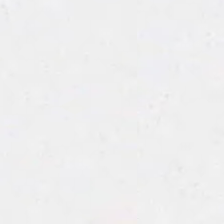Q: Classify this patch.
A: It is background.
